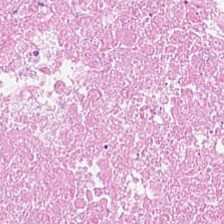Brightfield · H&E-stained tissue section · 0.5 µm per pixel.
This patch shows cellular debris.
